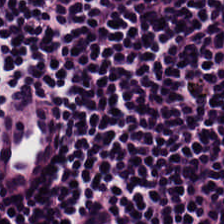Stain: hematoxylin and eosin.
Tissue class: lymphocytic infiltrate.
